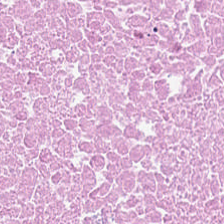Brightfield; H&E. Q: What is the predominant tissue type?
A: Cellular debris.
